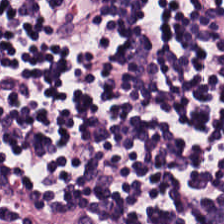H&E-stained tissue section.
Q: What is the predominant tissue type?
A: Lymphocyte aggregate.
